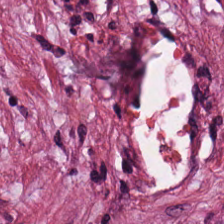H&E — The predominant tissue is tumor-associated stroma.
